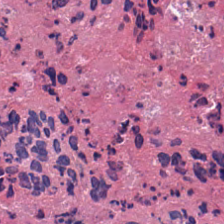Brightfield · H&E-stained tissue section · 0.5 microns per pixel — This patch shows debris.
